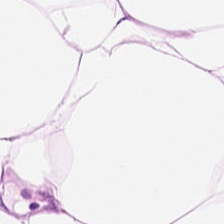The tissue here is adipocytes.
